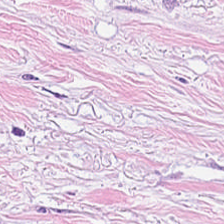Hematoxylin-and-eosin stained section — This patch shows desmoplastic stroma.
